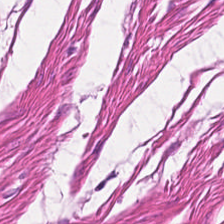H&E stain — The predominant tissue is muscularis.
